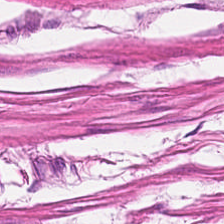224×224 px patch; formalin-fixed paraffin-embedded section; hematoxylin and eosin.
The predominant tissue is smooth muscle.
